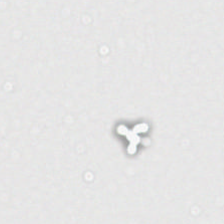Hematoxylin and eosin.
Histology — empty background.
